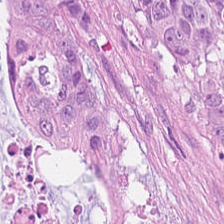Hematoxylin-and-eosin stained section — The tissue type is colorectal adenocarcinoma epithelium.
